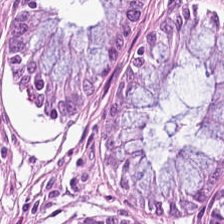H&E-stained tissue section.
Tissue type = non-neoplastic colon mucosa.
